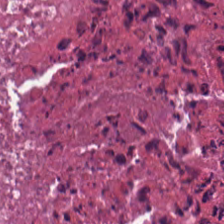Brightfield · H&E — Impression — necrotic debris.
